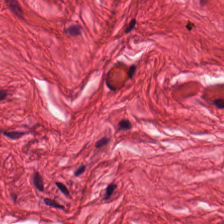Hematoxylin-and-eosin stained section. Histology → smooth muscle.
